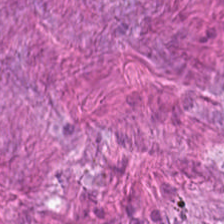H&E. Whole-slide-image patch. The tissue here is cancer-associated stroma.
